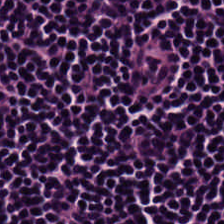Hematoxylin-and-eosin stained section.
Q: What is the predominant tissue type?
A: It is lymphoid infiltrate.
